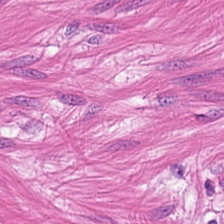Hematoxylin-and-eosin stained section — The predominant tissue is muscularis.
